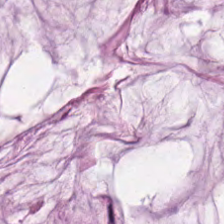Hematoxylin-and-eosin stained section; 0.5 µm/px — {"tissue_type": "mucus"}
